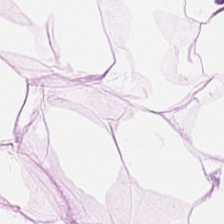H&E patch showing fat tissue.
